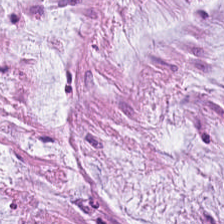Hematoxylin-and-eosin stained section — This field is mucus.
